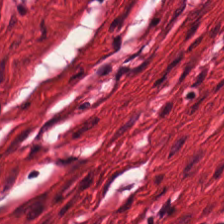Stain: hematoxylin and eosin.
Classification: muscularis.
